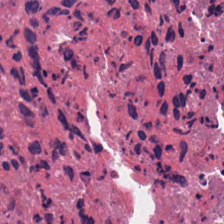224×224 pixel tile · 0.5 µm/px · H&E-stained tissue section.
Q: What does this patch show?
A: The field shows necrotic debris.
